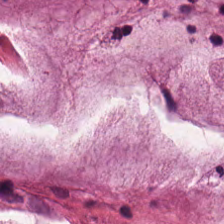Predominantly extracellular mucin.
